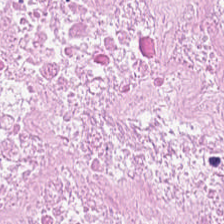Whole-slide-image patch; H&E stain. Q: Identify the tissue.
A: This is debris.
